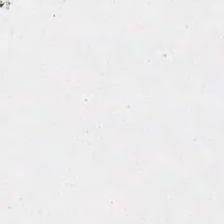H&E stain — The classification is empty background.
